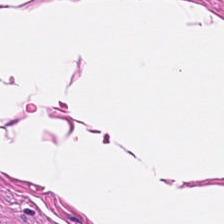H&E stain — The predominant tissue is smooth-muscle tissue.
